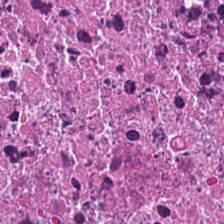H&E-stained tissue section.
Histology → necrotic debris.
